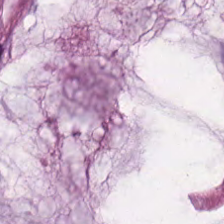Formalin-fixed paraffin-embedded section · H&E. Q: What tissue type is shown here?
A: Mucin.
